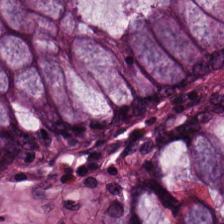H&E stain — Q: What tissue is shown?
A: Normal colon mucosa.
